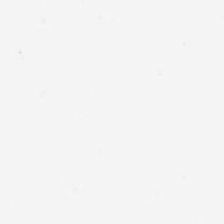Impression → background.
